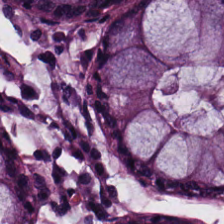Stain: H&E stain.
Acquisition: whole-slide-image patch.
Tissue: normal colonic mucosa.
